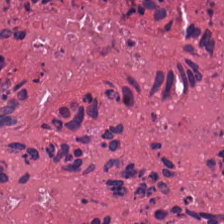H&E stain. Tissue type: cellular debris.
